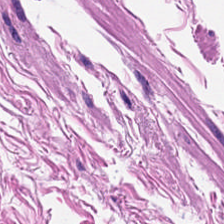0.5 microns per pixel. Hematoxylin and eosin. Brightfield microscopy.
Tissue type: smooth muscle.
